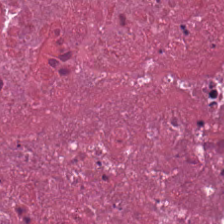Hematoxylin-and-eosin stained section · FFPE tissue section · 224×224 px tile. The tissue here is necrotic debris.
